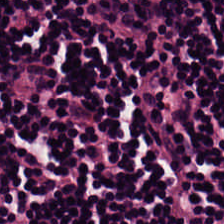Stain: hematoxylin and eosin.
Tissue class: lymphocytes.
